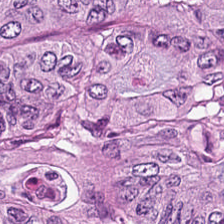224×224 px patch. Hematoxylin and eosin — The predominant tissue is colorectal adenocarcinoma epithelium.
